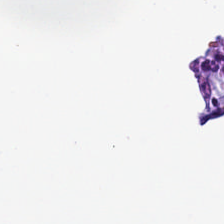H&E stain. No tissue present; background only.
